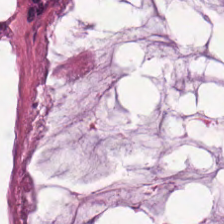H&E. 224×224 px patch. Impression — mucus.
